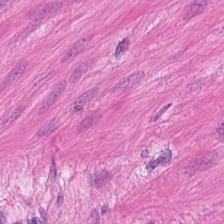224×224 pixel tile · FFPE · H&E stain.
This patch shows smooth-muscle tissue.
